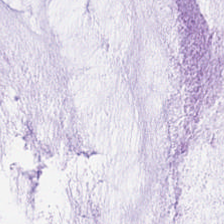H&E-stained tissue section; 0.5 µm/px — Histology → extracellular mucin.
